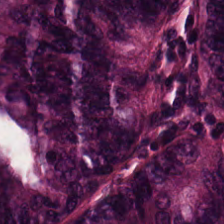Showing malignant epithelium.
